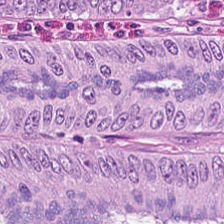Hematoxylin-and-eosin stained section. 224×224 pixel tile — Colorectal adenocarcinoma.
